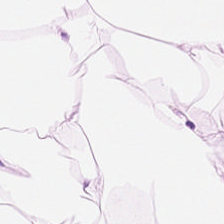H&E. Predominantly adipocytes.
